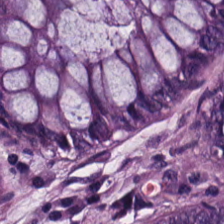H&E. The tissue class is non-neoplastic colon mucosa.
